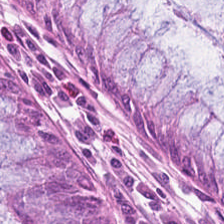224×224 px tile · hematoxylin and eosin · whole-slide-image patch — Finding → normal colon mucosa.
